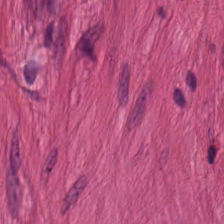Stain: hematoxylin-and-eosin stained section.
Classification: smooth-muscle tissue.
